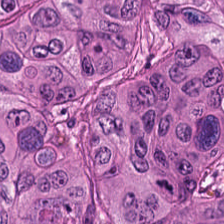H&E-stained tissue section.
Classification = tumor epithelium.
